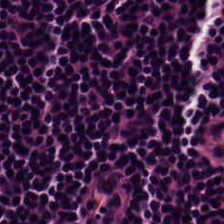H&E stain.
Q: What is the predominant tissue type?
A: This is lymphoid infiltrate.
